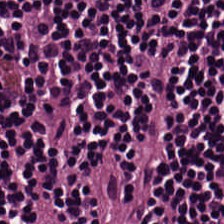H&E stain.
Tissue type: lymphocyte aggregate.
